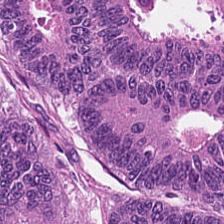H&E stain.
Predominantly malignant epithelium.
